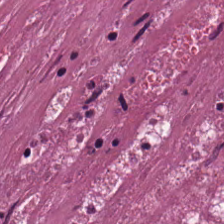Q: What tissue type is shown here?
A: This is necrotic debris.
